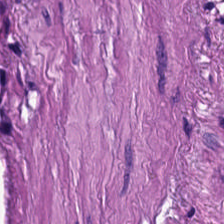{"tissue_type": "smooth muscle"}
